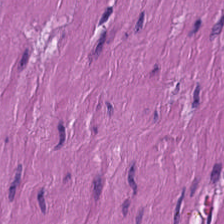Stain: hematoxylin-and-eosin stained section.
Tissue: muscularis.
